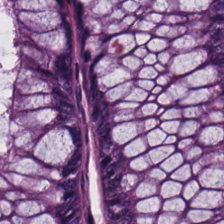Hematoxylin and eosin.
Predominantly normal colon mucosa.
